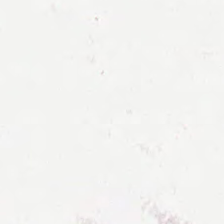Hematoxylin-and-eosin stained section. FFPE — This field is background (no tissue).
